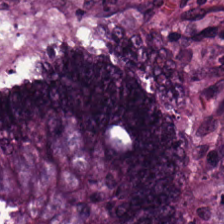H&E-stained tissue section. FFPE — The predominant tissue is adenocarcinoma.
